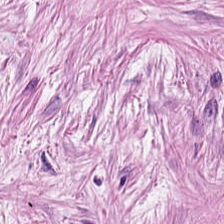Hematoxylin and eosin.
Showing tumor-associated stroma.
